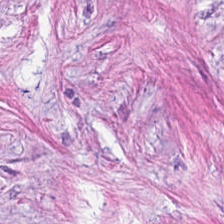The tissue here is tumor-associated stroma.
